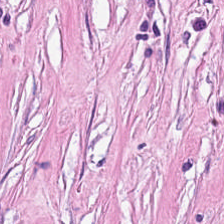Hematoxylin-and-eosin stained section.
Finding — cancer-associated stroma.
